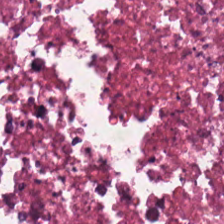H&E stain — Tissue type: necrotic debris.
